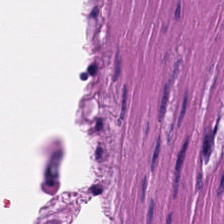Brightfield microscopy · hematoxylin and eosin.
Tissue type = smooth-muscle tissue.
